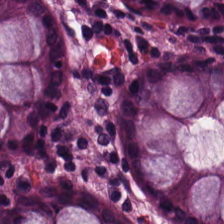Showing non-neoplastic colon mucosa.
